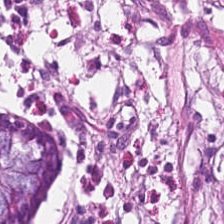H&E.
Predominant tissue: normal colonic mucosa.
